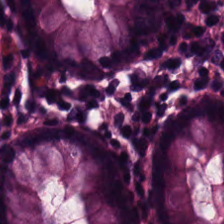This patch shows normal colon mucosa.
